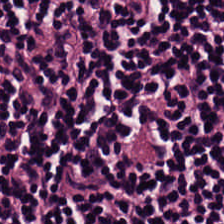Hematoxylin-and-eosin stained section — Tissue class — lymphocyte aggregate.
